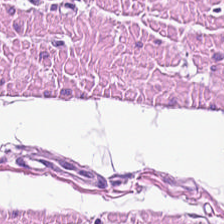Hematoxylin and eosin. Impression → muscularis.
